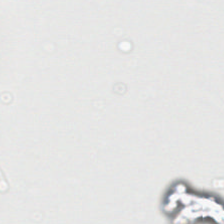0.5 µm per pixel. Hematoxylin and eosin. Histology — background.
